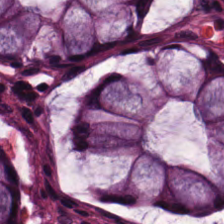H&E stain — {"tissue_type": "normal colonic mucosa"}
